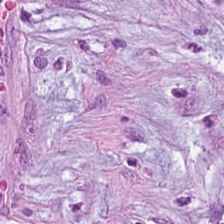Brightfield microscopy. 224×224 px patch. Hematoxylin-and-eosin stained section — Showing tumor stroma.
